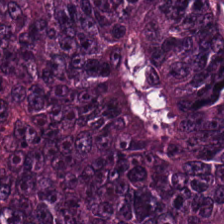H&E-stained tissue section — Tissue class = tumor epithelium.
